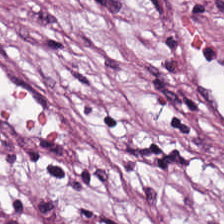H&E. The classification is cancer-associated stroma.
